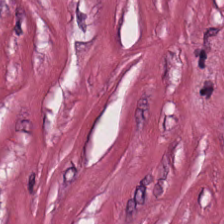Hematoxylin and eosin — {"tissue_type": "tumor-associated stroma"}
